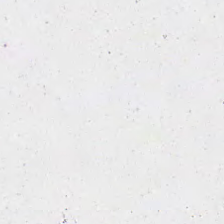H&E-stained tissue section. Content — background.
